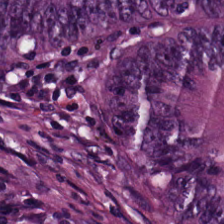Hematoxylin-and-eosin section: colorectal adenocarcinoma epithelium.
